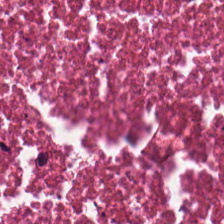Brightfield microscopy; H&E stain. Impression → debris.
